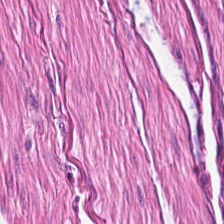Predominantly smooth-muscle tissue.
